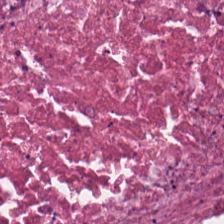Formalin-fixed paraffin-embedded section; H&E stain.
Tissue type = necrotic debris.
